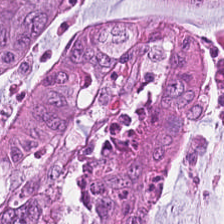Hematoxylin-and-eosin stained section; 0.5 µm per pixel — This patch shows tumor epithelium.
